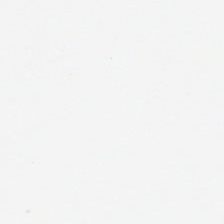H&E-stained tissue section — Empty field — empty background.
